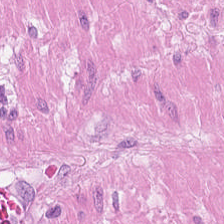Tissue — smooth-muscle tissue.
